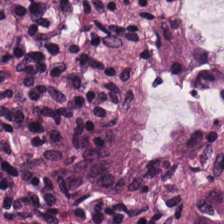Histology — benign colonic mucosa.
